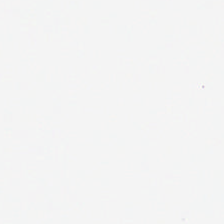Stain: hematoxylin-and-eosin stained section.
Acquisition: WSI patch.
Field content: background.
